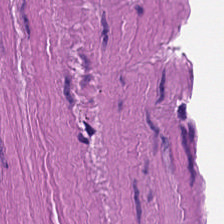H&E-stained tissue section; 224×224 px patch.
Smooth muscle.
